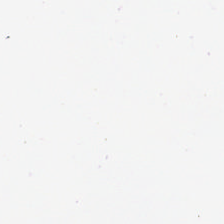H&E. 224×224 px tile. Formalin-fixed paraffin-embedded section — Empty background.
